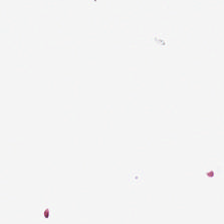FFPE; H&E — This patch shows background (no tissue).
